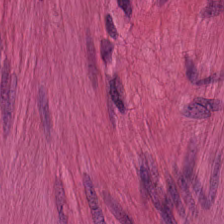Smooth-muscle tissue.
